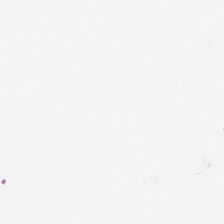H&E.
This patch shows background.
